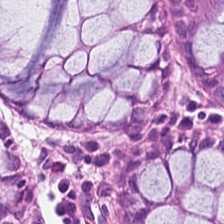Stain: H&E.
Resolution: 20× equivalent magnification.
Tissue class: benign colonic mucosa.
